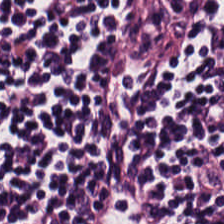Stain: H&E-stained tissue section.
Tissue class: lymphocyte aggregate.
